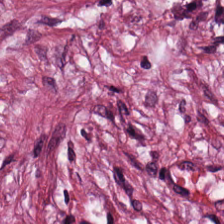FFPE · hematoxylin-and-eosin stained section — This field is cancer-associated stroma.
